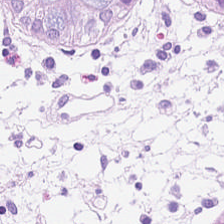Brightfield; 224×224 pixel tile; hematoxylin-and-eosin stained section — Finding — benign colonic mucosa.
